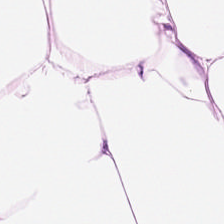Hematoxylin and eosin. 0.5 µm per pixel. Predominant tissue — adipocytes.
